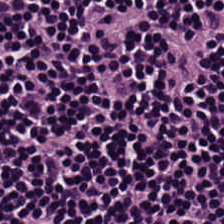H&E — This field is lymphocytic infiltrate.
